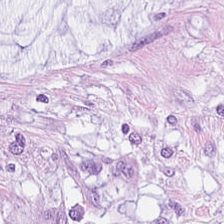H&E-stained tissue section. This field is mucus.
